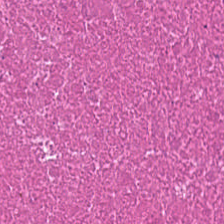{"tissue_type": "cellular debris"}
